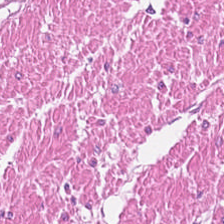Hematoxylin-and-eosin stained section.
Tissue type — smooth muscle.
